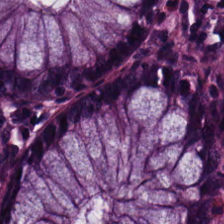H&E-stained tissue section — Tissue = non-neoplastic colon mucosa.
